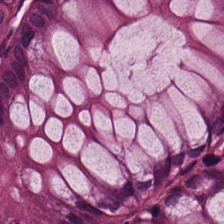0.5 microns per pixel · H&E-stained tissue section — This field is normal colonic mucosa.
